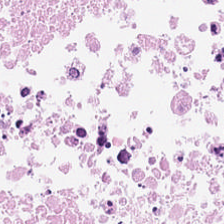Hematoxylin and eosin · 224×224 pixel tile — Predominantly debris.
